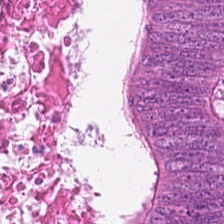H&E-stained tissue section showing colorectal adenocarcinoma epithelium.
